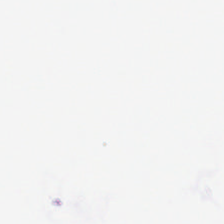WSI patch; hematoxylin and eosin. Classification — no tissue.
